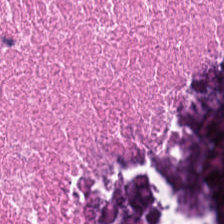Classification = necrotic debris.
